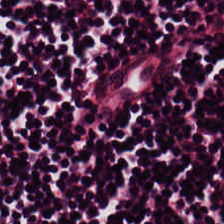The tissue here is lymphocytes.
